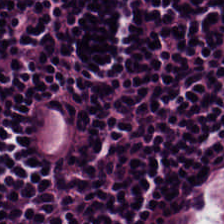H&E stain.
Q: What tissue is shown?
A: This is lymphocytic infiltrate.
